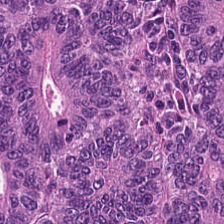H&E-stained tissue section.
The tissue is tumor epithelium.
